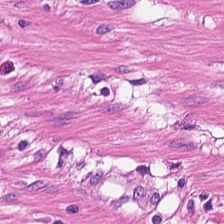20× equivalent magnification · H&E stain. Showing muscularis.
